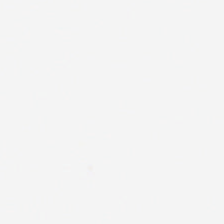Hematoxylin and eosin.
This patch shows background.
